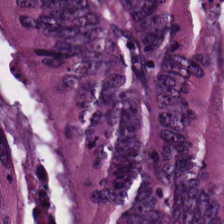H&E. 0.5 µm per pixel. FFPE tissue section. Classification — adenocarcinoma.
